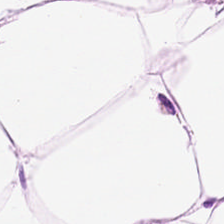Hematoxylin-and-eosin stained section.
The classification is adipose tissue.
